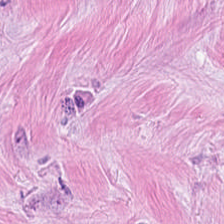Stain: H&E-stained tissue section.
Classification: desmoplastic stroma.
